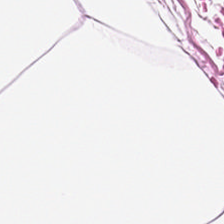Hematoxylin-and-eosin stained section. The tissue is adipose tissue.
